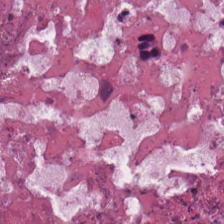H&E. Finding — cellular debris.
